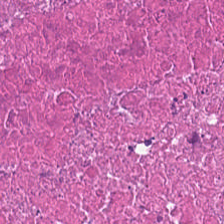Hematoxylin and eosin. The tissue here is necrotic debris.
